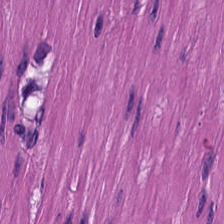Stain: H&E.
Classification: smooth muscle.
